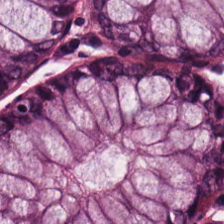224×224 px patch; brightfield; H&E stain.
This field is non-neoplastic colon mucosa.
